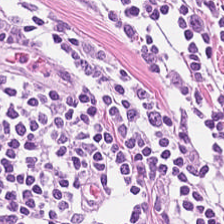H&E-stained tissue section. Histology → lymphoid infiltrate.
